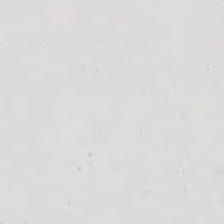{"content": "empty background"}
